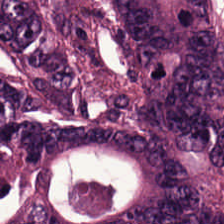FFPE; H&E.
This patch shows malignant epithelium.
